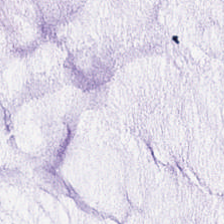Hematoxylin and eosin. Brightfield microscopy.
Predominantly mucin.
